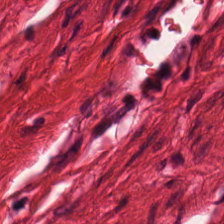H&E stain. 224×224 pixel tile.
Predominantly smooth muscle.
